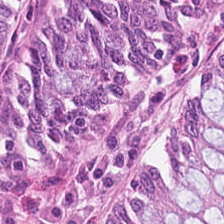Q: What does this patch show?
A: Benign colonic mucosa.
